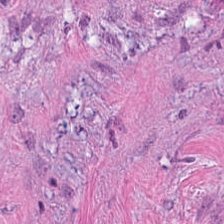Classification = tumor-associated stroma.
